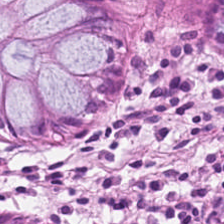H&E-stained tissue section — The classification is non-neoplastic colon mucosa.
